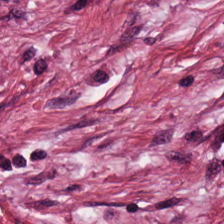Hematoxylin-and-eosin stained section.
Predominantly tumor stroma.
